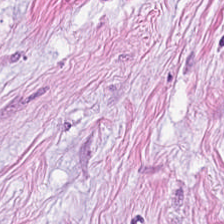Stain: H&E-stained tissue section.
Preparation: FFPE.
Tissue class: desmoplastic stroma.
